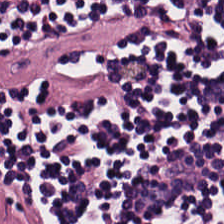FFPE tissue section · H&E-stained tissue section. This patch shows lymphocytic infiltrate.
